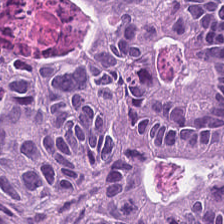H&E stain.
The predominant tissue is adenocarcinoma.
